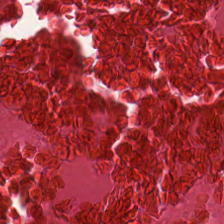Stain: hematoxylin-and-eosin stained section.
Classification: debris.
